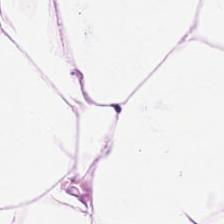H&E — This patch shows adipose.
